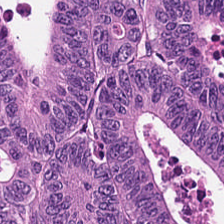Q: What is shown here?
A: This is adenocarcinoma.
